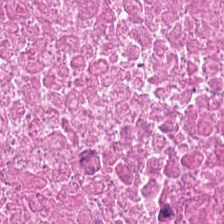Hematoxylin and eosin.
Q: What is the predominant tissue type?
A: This is necrotic debris.
